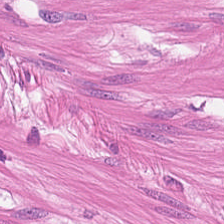Hematoxylin-and-eosin stained section · 0.5 µm per pixel.
Tissue — muscularis.
